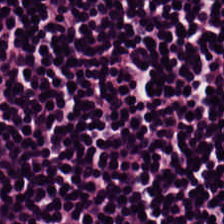Brightfield. 20× equivalent magnification. Hematoxylin-and-eosin stained section. {"tissue_type": "lymphoid infiltrate"}
